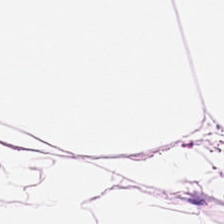The classification is adipocytes.
